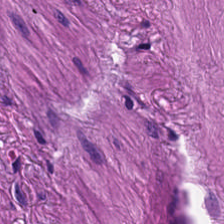H&E-stained tissue section showing muscularis.
